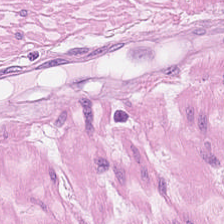H&E patch showing smooth muscle.
